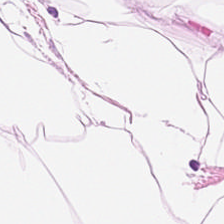H&E stain · 20× equivalent magnification.
Tissue = adipose tissue.
